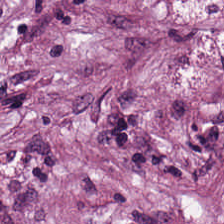Predominantly desmoplastic stroma.
